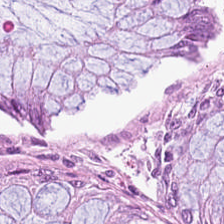Stain: hematoxylin-and-eosin stained section.
Tissue type: benign colonic mucosa.
